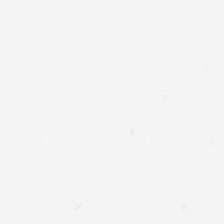20× equivalent magnification. Hematoxylin-and-eosin stained section. Background.
